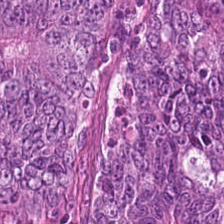Hematoxylin and eosin.
The predominant tissue is colorectal adenocarcinoma.
